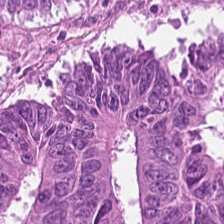Stain: hematoxylin and eosin.
Tile size: 224×224 px patch.
Predominant tissue: malignant epithelium.
